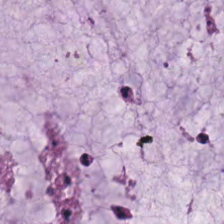Stain: hematoxylin and eosin.
Resolution: 0.5 µm/px.
Tissue type: extracellular mucin.
